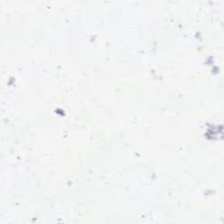H&E stain.
Field content — empty background.
